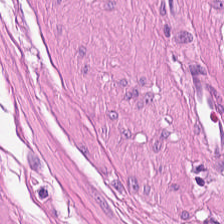Finding — smooth muscle.
